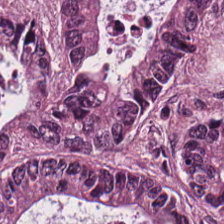Hematoxylin-and-eosin stained section. Predominant tissue — adenocarcinoma.
